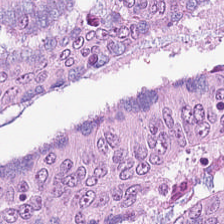0.5 microns per pixel; hematoxylin and eosin — The tissue here is tumor epithelium.
